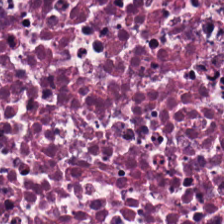This field is cellular debris.
